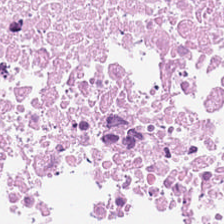H&E-stained tissue section.
The predominant tissue is cellular debris.
